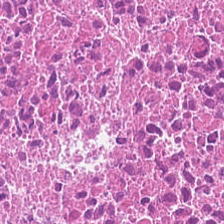Formalin-fixed paraffin-embedded section; H&E stain — The tissue type is necrotic debris.
